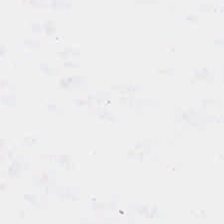This field is background (no tissue).
